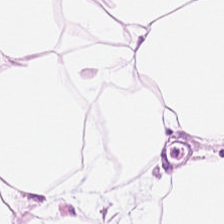Hematoxylin-and-eosin stained section. WSI patch.
Impression → fat tissue.
